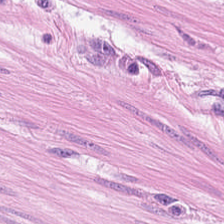H&E — Showing smooth-muscle tissue.
